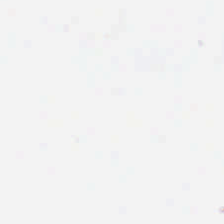H&E stain.
The field content is empty background.
